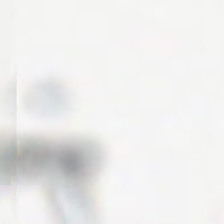Hematoxylin and eosin; formalin-fixed paraffin-embedded section; brightfield.
Content — empty background.
